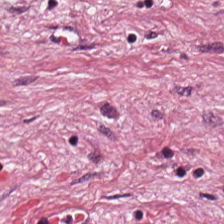H&E-stained tissue section.
The predominant tissue is desmoplastic stroma.
